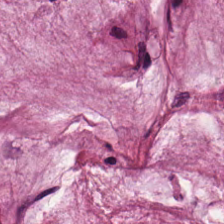H&E — extracellular mucin.
